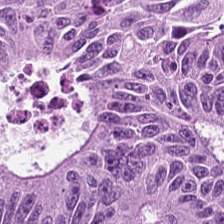This field is tumor epithelium.
